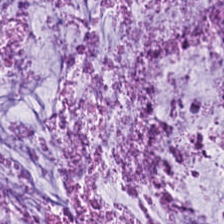Hematoxylin and eosin — {"tissue_type": "mucin"}
